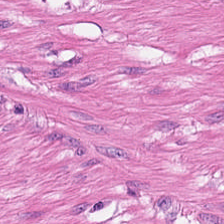H&E-stained section; the field shows smooth-muscle tissue.
